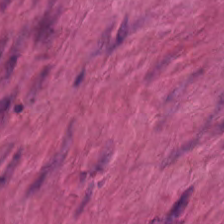Stain: hematoxylin and eosin.
Predominant tissue: smooth muscle.
